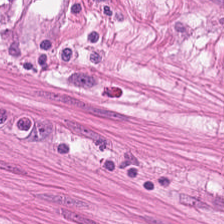Stain: hematoxylin-and-eosin stained section.
Preparation: formalin-fixed paraffin-embedded section.
Tissue type: smooth muscle.
